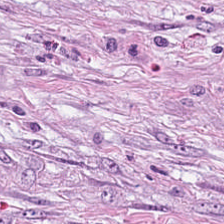Histology → desmoplastic stroma.
